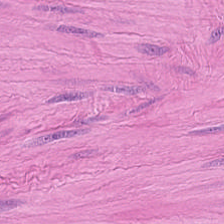H&E-stained tissue section. Brightfield microscopy — Showing muscularis.
